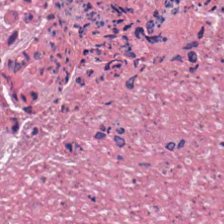H&E-stained tissue section.
Cellular debris.
